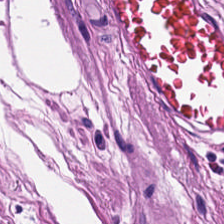H&E-stained tissue section — Tissue class = muscularis.
